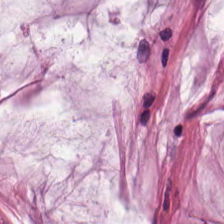H&E-stained tissue section showing mucus.
